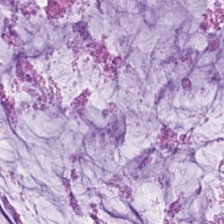H&E patch showing extracellular mucin.
